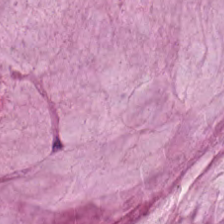Hematoxylin-and-eosin stained section. Mucus.
